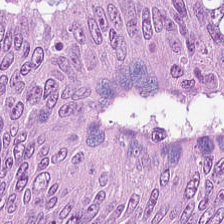Stain: hematoxylin and eosin.
Preparation: FFPE tissue section.
Classification: colorectal adenocarcinoma epithelium.
